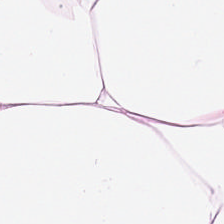Hematoxylin and eosin.
This field is adipose tissue.
